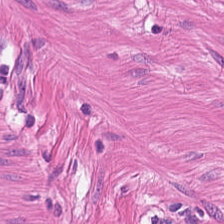H&E. This field is smooth-muscle tissue.
